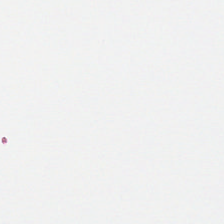Stain: hematoxylin-and-eosin stained section.
Acquisition: whole-slide-image patch.
Content: no tissue.
